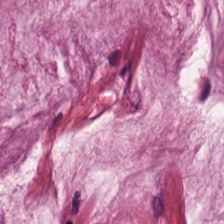H&E-stained tissue section.
This field is extracellular mucin.
